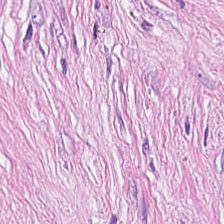H&E-stained tissue section. Q: Classify this patch.
A: Tumor-associated stroma.
